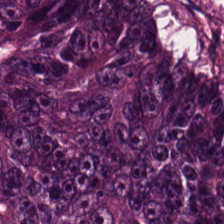H&E stain.
{"tissue_type": "colorectal adenocarcinoma"}
